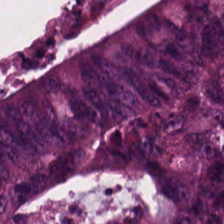H&E patch showing tumor epithelium.
